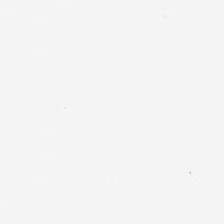Brightfield; H&E. Background — no tissue in this field.
